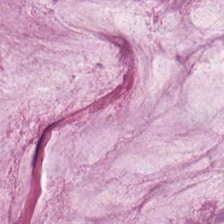Hematoxylin and eosin. Predominantly mucus.
